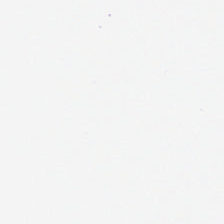{"content": "background (no tissue)"}
